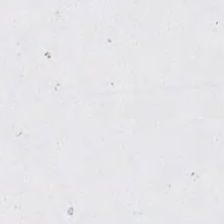Stain: H&E.
Classification: background (no tissue).
